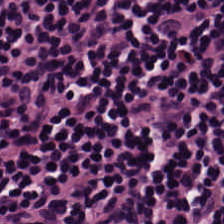Hematoxylin-and-eosin stained section. Tissue = lymphocytic infiltrate.
